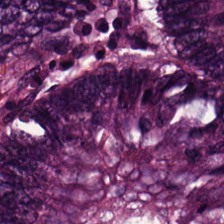Finding — tumor epithelium.
